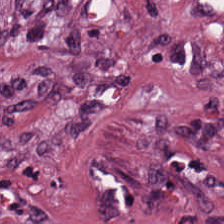Tissue = tumor-associated stroma.
